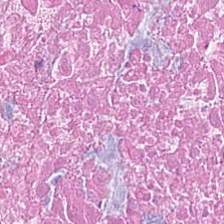H&E; FFPE tissue section — Tissue type — cellular debris.
